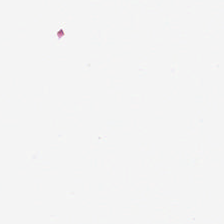Whole-slide-image patch · FFPE · H&E stain — Field content — empty background.
